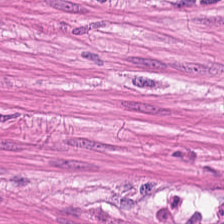Stain: H&E-stained tissue section.
Tissue type: muscularis.
